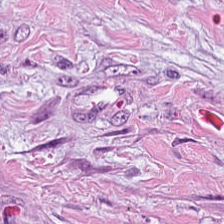Hematoxylin and eosin.
Q: Identify the tissue.
A: Tumor-associated stroma.
